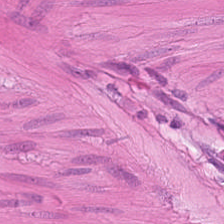H&E-stained tissue section.
Showing smooth muscle.
